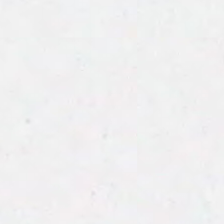Background — no tissue in this field.
